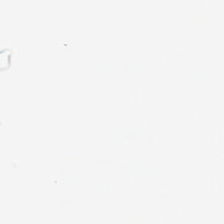224×224 pixel tile; WSI patch; hematoxylin and eosin. Classification: background (no tissue).
